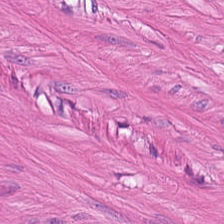H&E-stained tissue section. The predominant tissue is smooth muscle.
